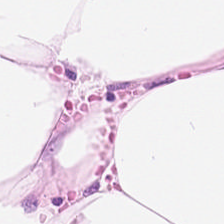H&E stain. Predominantly adipose tissue.
